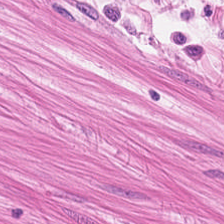Q: What type of tissue is this?
A: Muscularis.
